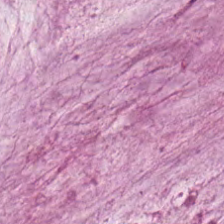Brightfield microscopy. H&E.
Predominantly mucin.
